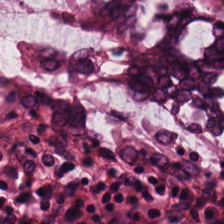Classification: normal colonic mucosa.
